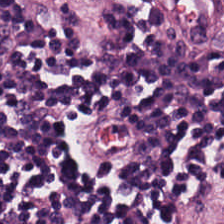Hematoxylin-and-eosin stained section. 0.5 µm per pixel — The tissue here is lymphoid infiltrate.
